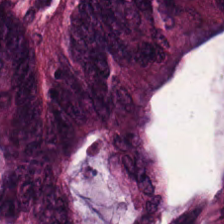H&E-stained tissue section. The tissue is malignant epithelium.
